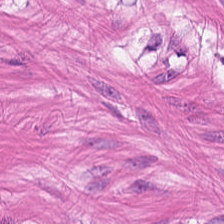Classification — smooth-muscle tissue.
